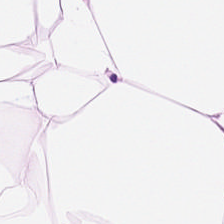Hematoxylin-and-eosin stained section; 224×224 px tile; 20× equivalent magnification. The tissue is adipocytes.
